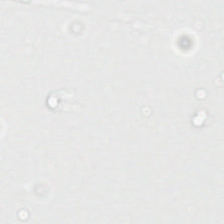Hematoxylin and eosin.
Background — no tissue in this field.
